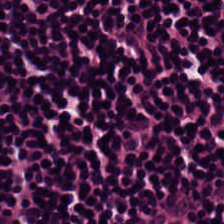Stain: H&E stain.
Classification: lymphocytic infiltrate.
